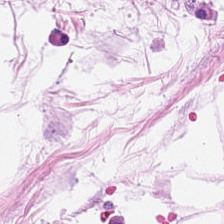Hematoxylin-and-eosin stained section · 224×224 px patch — The predominant tissue is adipocytes.
